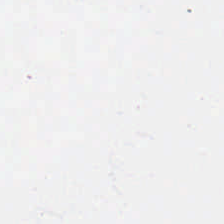Brightfield · H&E stain · 20× equivalent magnification. Field content — background.
